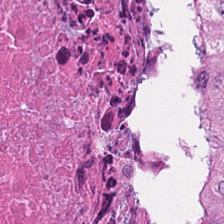H&E stain.
Predominantly debris.
